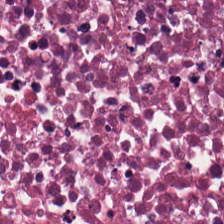Hematoxylin and eosin · whole-slide-image patch.
This patch shows debris.
